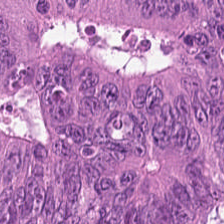Hematoxylin and eosin — Tumor epithelium.
